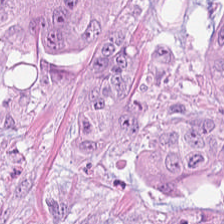224×224 pixel tile · H&E · 0.5 µm/px — This patch shows malignant epithelium.
